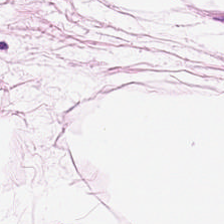Hematoxylin-and-eosin stained section — Histology — fat tissue.
